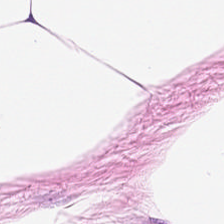H&E. The tissue here is adipose.
